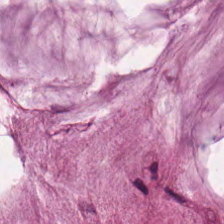H&E stain. Histology — extracellular mucin.
